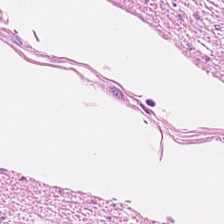H&E stain. FFPE tissue section. Q: Identify the tissue.
A: This is muscularis.
